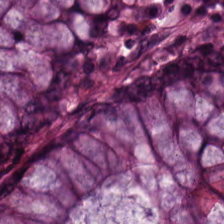Brightfield. H&E.
Q: What is shown here?
A: This is normal colon mucosa.
